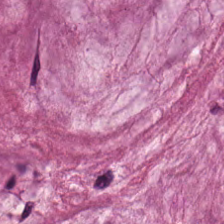Hematoxylin-and-eosin stained section. Predominant tissue = extracellular mucin.
